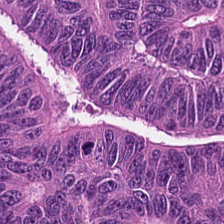H&E stain; 0.5 µm per pixel.
This patch shows colorectal adenocarcinoma epithelium.
